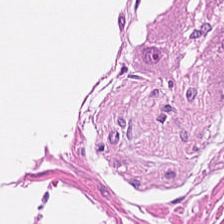Q: Classify this patch.
A: The field shows muscularis.
